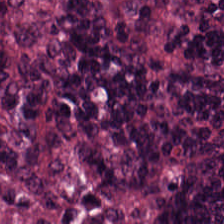H&E-stained tissue section — The predominant tissue is lymphocytes.
